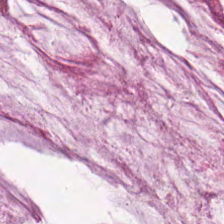20× equivalent magnification · H&E stain · 224×224 px patch — Showing mucus.
